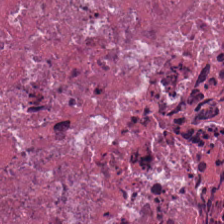224×224 pixel tile · H&E.
{"tissue_type": "debris"}
